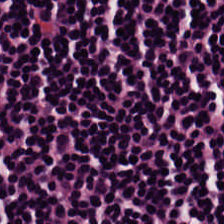H&E stain.
This field is lymphocytic infiltrate.
